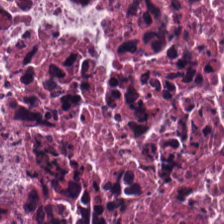Stain: hematoxylin and eosin.
Tile size: 224×224 px patch.
Resolution: 0.5 microns per pixel.
Tissue class: debris.
